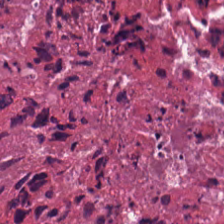Predominantly cellular debris.
